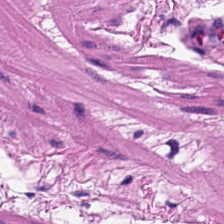Whole-slide-image patch; 224×224 px patch; hematoxylin-and-eosin stained section — Tissue = smooth muscle.
